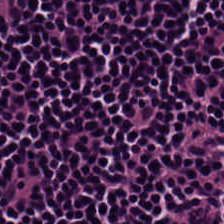Hematoxylin-and-eosin stained section.
This patch shows lymphoid infiltrate.
